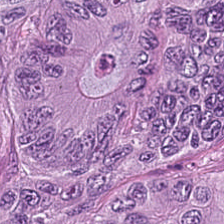Hematoxylin-and-eosin section: colorectal adenocarcinoma.
